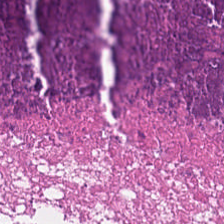WSI patch. Hematoxylin-and-eosin stained section. 20× equivalent magnification.
Histology — necrotic debris.
